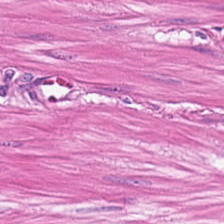H&E-stained tissue section — Smooth muscle.
